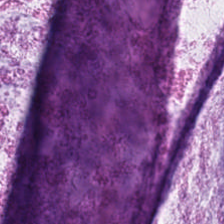20× equivalent magnification. Hematoxylin-and-eosin stained section. The predominant tissue is extracellular mucin.
